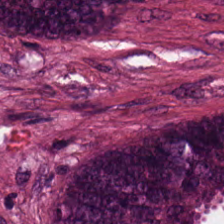H&E-stained tissue section.
Finding — colorectal adenocarcinoma.
